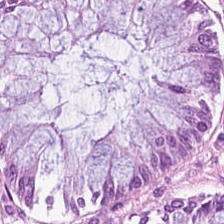224×224 px patch; 0.5 µm/px; hematoxylin-and-eosin stained section.
{"tissue_type": "benign colonic mucosa"}
